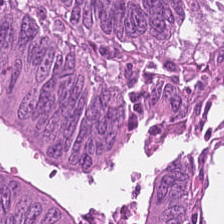H&E. Tissue type = colorectal adenocarcinoma epithelium.
